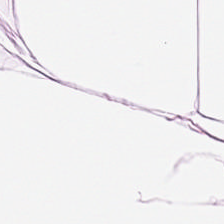Q: What tissue type is shown here?
A: This is adipocytes.
